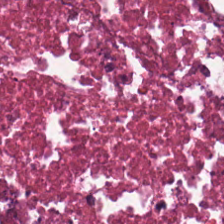Hematoxylin and eosin.
Showing necrotic debris.
